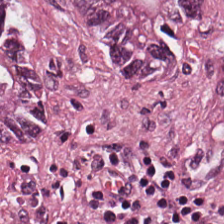H&E. Predominantly colorectal adenocarcinoma epithelium.
